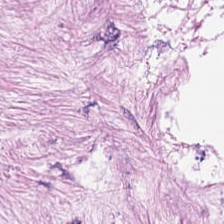H&E. The predominant tissue is tumor stroma.
